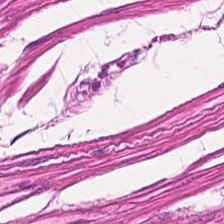Hematoxylin-and-eosin stained section. Tissue = muscularis.
